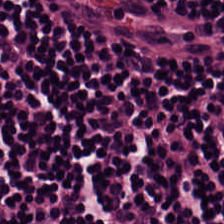H&E stain. The tissue type is lymphocytes.
